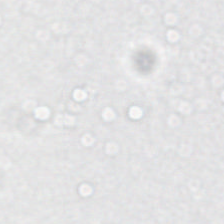H&E-stained tissue section.
This field is background (no tissue).
